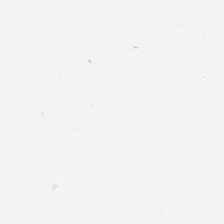224×224 px patch; hematoxylin and eosin; 20× equivalent magnification. Q: What is shown here?
A: No tissue.
